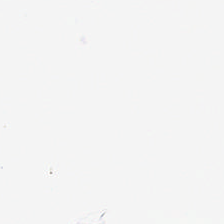Hematoxylin and eosin. FFPE.
Background — no tissue in this field.
